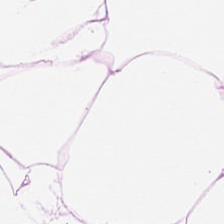Hematoxylin and eosin. The classification is fat tissue.
